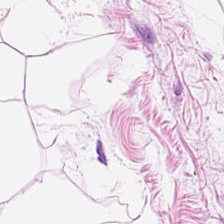Fat tissue.
